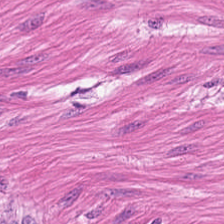Stain: hematoxylin and eosin.
Tissue class: smooth-muscle tissue.
